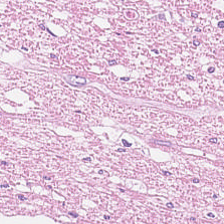Hematoxylin-and-eosin stained section · 224×224 pixel tile.
This field is smooth muscle.
